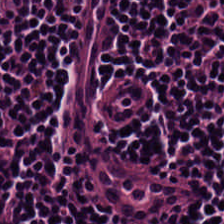The predominant tissue is lymphocytes.
